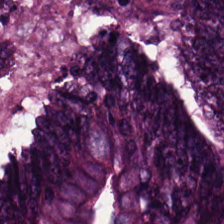Showing tumor epithelium.
